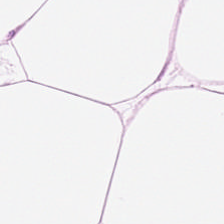Hematoxylin and eosin. 20× equivalent magnification. Tissue class — fat tissue.
